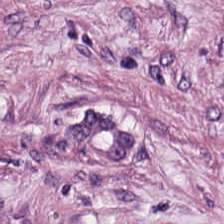Cancer-associated stroma.
